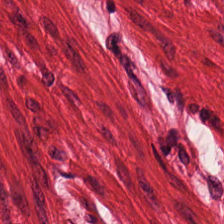H&E-stained tissue section.
Impression — smooth muscle.
